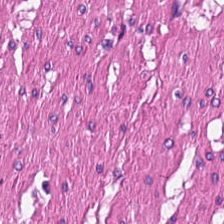Stain: H&E stain.
Resolution: 0.5 microns per pixel.
Tissue type: smooth muscle.
